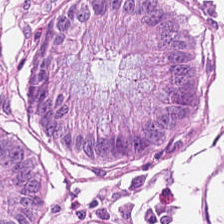H&E stain. Brightfield microscopy. FFPE tissue section.
Q: What is shown here?
A: This is normal colonic mucosa.
